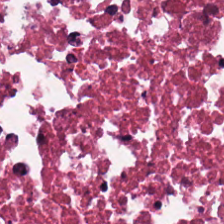Hematoxylin and eosin. The tissue here is cellular debris.
